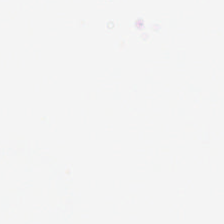FFPE tissue section; H&E.
No tissue present; background only.
